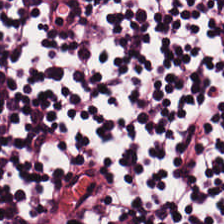FFPE tissue section · H&E stain. Impression → lymphocytic infiltrate.
